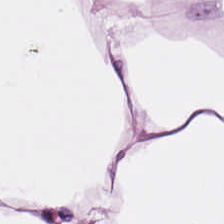H&E. 20× equivalent magnification — The tissue class is adipose.
